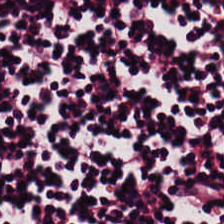Hematoxylin-and-eosin stained section.
Tissue class — lymphocytes.
